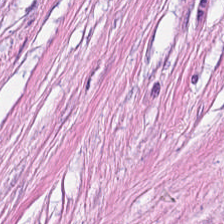H&E stain; whole-slide-image patch — This patch shows tumor-associated stroma.
